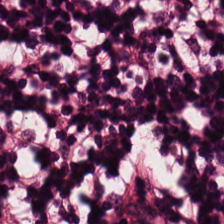H&E-stained tissue section. 20× equivalent magnification. Showing lymphocytes.
